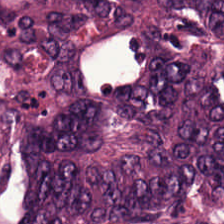Q: What tissue is shown?
A: It is adenocarcinoma.
